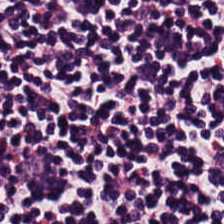Hematoxylin-and-eosin stained section. Tissue type: lymphocyte aggregate.
